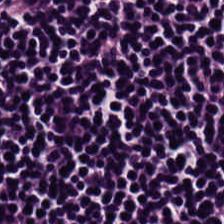Tissue type — lymphocyte aggregate.
